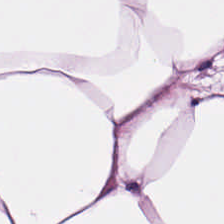0.5 microns per pixel · hematoxylin-and-eosin stained section — Histology — adipocytes.
